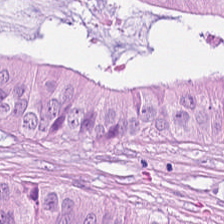Brightfield microscopy · 224×224 pixel tile · hematoxylin-and-eosin stained section.
This field is colorectal adenocarcinoma.
